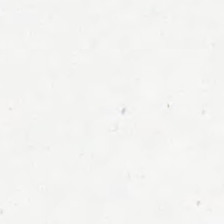Stain: H&E stain.
Resolution: 0.5 microns per pixel.
Preparation: FFPE.
Field content: empty background.
